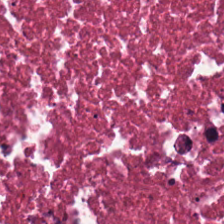Hematoxylin and eosin. Whole-slide-image patch — This patch shows necrotic debris.
